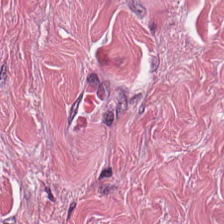Q: Classify this patch.
A: It is tumor stroma.
